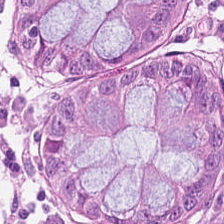Predominantly benign colonic mucosa.
